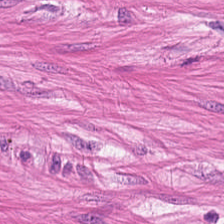H&E-stained tissue section. 0.5 microns per pixel. 224×224 pixel tile.
{"tissue_type": "smooth muscle"}
